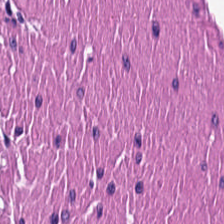Tissue — smooth muscle.
